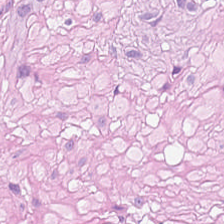Stain: H&E-stained tissue section.
Tissue type: smooth-muscle tissue.
